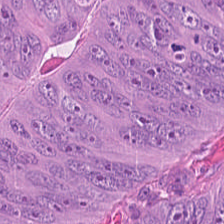The predominant tissue is colorectal adenocarcinoma.
